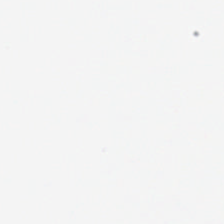Hematoxylin-and-eosin stained section · FFPE tissue section. No tissue.
